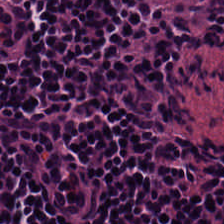Stain: hematoxylin-and-eosin stained section.
Acquisition: WSI patch.
Preparation: formalin-fixed paraffin-embedded section.
Classification: lymphocytes.
